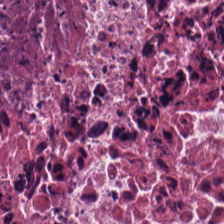H&E stain — {"tissue_type": "cellular debris"}
